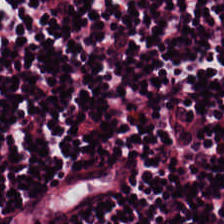Tissue: lymphocyte aggregate.
